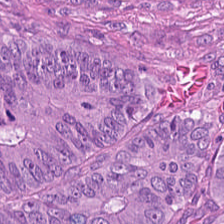Predominantly tumor epithelium.
